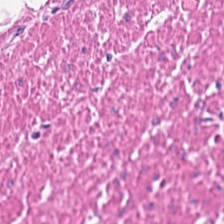H&E stain — Q: Classify this patch.
A: Smooth muscle.
